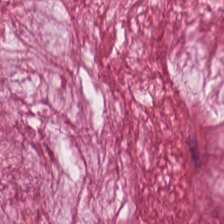H&E stain · FFPE.
The tissue here is mucus.
